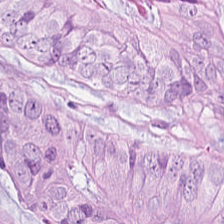H&E — Tissue — malignant epithelium.
